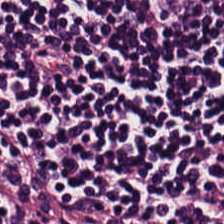Hematoxylin-and-eosin stained section — Impression — lymphocytic infiltrate.
